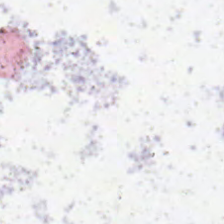Background (no tissue).
